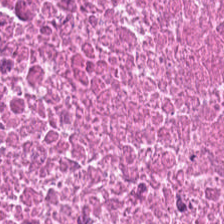Brightfield; H&E-stained tissue section. Predominantly debris.
